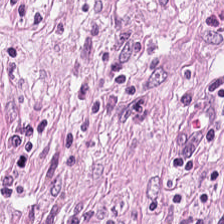FFPE tissue section. WSI patch. H&E-stained tissue section — This field is cancer-associated stroma.
